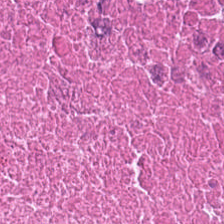H&E stain. This patch shows debris.
